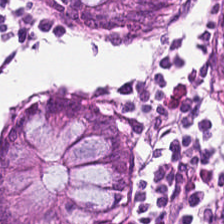H&E — Predominantly normal colonic mucosa.
